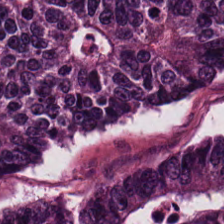H&E stain. 224×224 px tile. The tissue here is colorectal adenocarcinoma epithelium.
